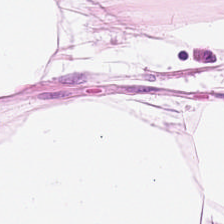Hematoxylin and eosin.
Impression → adipocytes.
